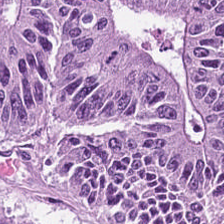Hematoxylin and eosin.
The predominant tissue is malignant epithelium.
